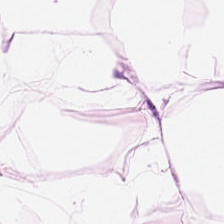H&E-stained tissue section; 224×224 pixel tile. Predominantly adipose tissue.
